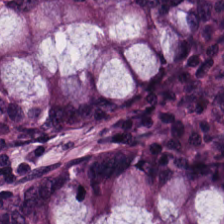Q: Identify the tissue.
A: This is benign colonic mucosa.
